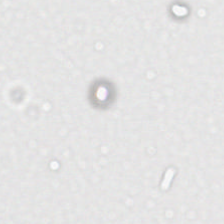Content — background (no tissue).
